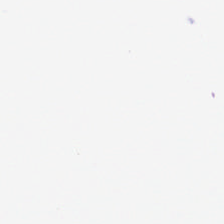H&E stain — Content = empty background.
